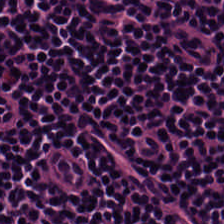Hematoxylin and eosin.
Tissue: lymphocyte aggregate.
